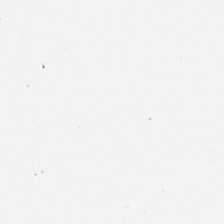H&E stain. 224×224 px tile — Finding — background (no tissue).
